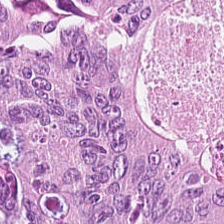H&E — The tissue here is adenocarcinoma.
